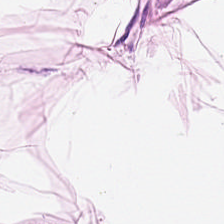Impression → fat tissue.
